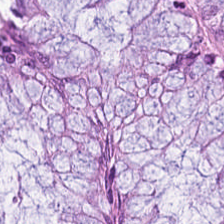H&E. Predominantly normal colonic mucosa.
